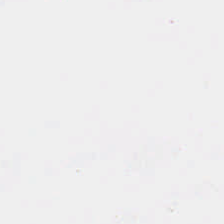0.5 µm per pixel · brightfield · H&E stain.
Empty field — empty background.
